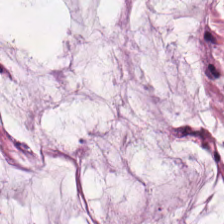H&E; 224×224 px patch — Classification: mucus.
